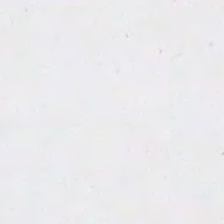WSI patch. Hematoxylin-and-eosin stained section. 224×224 pixel tile — Background (no tissue).
